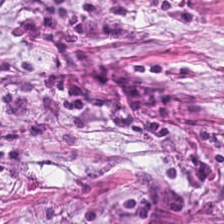H&E-stained tissue section. The predominant tissue is desmoplastic stroma.
